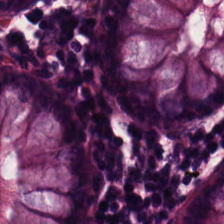H&E stain.
Finding → benign colonic mucosa.
